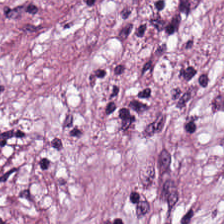H&E-stained tissue section · WSI patch · 0.5 µm/px. Classification = tumor stroma.
